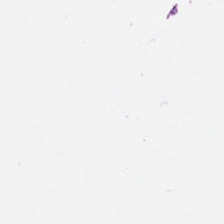H&E stain; formalin-fixed paraffin-embedded section.
Histology → no tissue.
